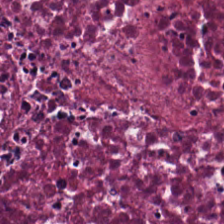FFPE · H&E-stained tissue section.
This field is cellular debris.
